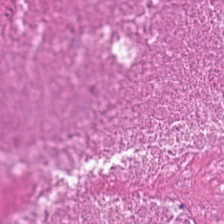Hematoxylin-and-eosin stained section. Classification = debris.
